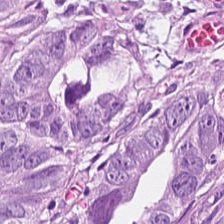224×224 pixel tile · 0.5 µm/px · hematoxylin and eosin — The tissue here is colorectal adenocarcinoma.
